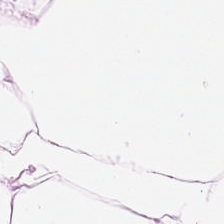Hematoxylin-and-eosin stained section · FFPE — Predominantly fat tissue.
